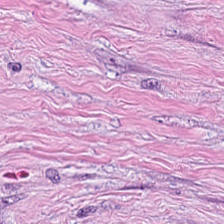Tissue type — desmoplastic stroma.
